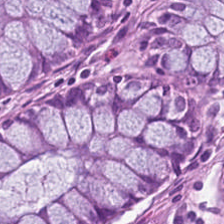Hematoxylin and eosin; 0.5 µm per pixel — {"tissue_type": "benign colonic mucosa"}
